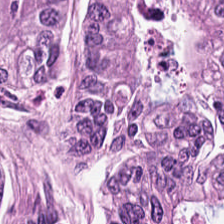H&E stain.
Tissue class: adenocarcinoma.
